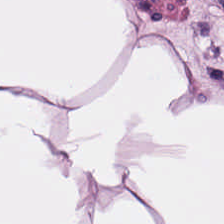H&E stain — Q: Identify the tissue.
A: It is adipocytes.
